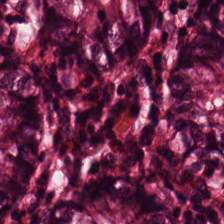Q: What tissue is shown?
A: Normal colonic mucosa.
